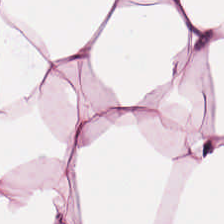Adipose tissue.
